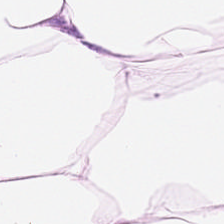H&E — This patch shows adipose.
